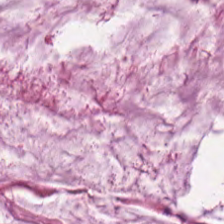Hematoxylin and eosin. Finding — extracellular mucin.
